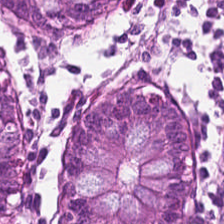Tissue = normal colon mucosa.
